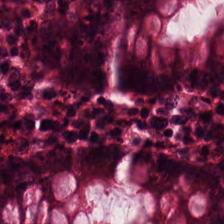Hematoxylin and eosin.
Tissue class: non-neoplastic colon mucosa.
